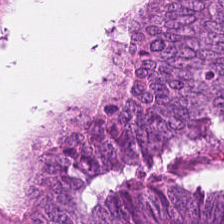H&E; 224×224 pixel tile; 20× equivalent magnification. Q: What tissue is shown?
A: Malignant epithelium.
